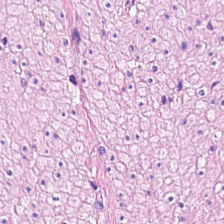H&E stain — Predominantly muscularis.
